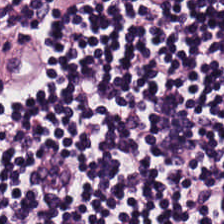Predominant tissue = lymphocytes.
